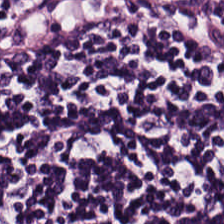Q: What is shown here?
A: The field shows lymphocytes.
